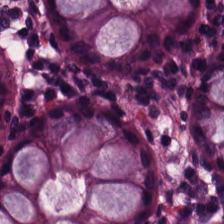Q: What tissue is shown?
A: This is non-neoplastic colon mucosa.
